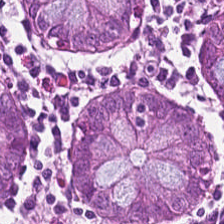Hematoxylin-and-eosin stained section.
The tissue here is normal colonic mucosa.
